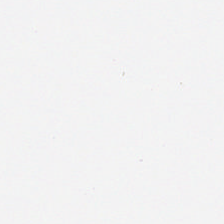H&E stain — This patch shows background.
